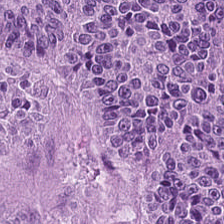Hematoxylin and eosin. FFPE tissue section.
Showing adenocarcinoma.
